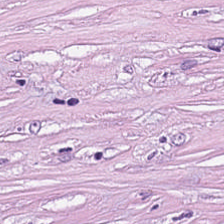Hematoxylin-and-eosin stained section; formalin-fixed paraffin-embedded section. Q: What tissue type is shown here?
A: Tumor-associated stroma.
